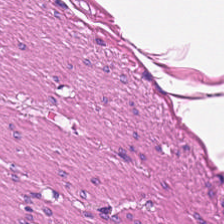FFPE tissue section. Hematoxylin-and-eosin stained section.
Impression — muscularis.
